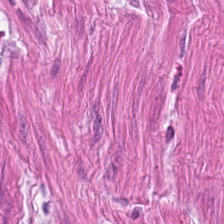H&E stain. The tissue here is muscularis.
